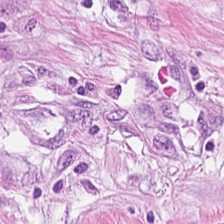224×224 pixel tile; 0.5 microns per pixel; hematoxylin and eosin.
Predominantly tumor-associated stroma.
